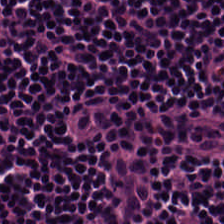Predominant tissue: lymphoid infiltrate.
